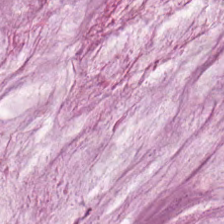Hematoxylin and eosin; 0.5 µm per pixel — Predominant tissue = mucin.
